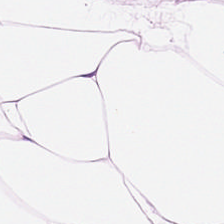H&E — Histology → adipose tissue.
